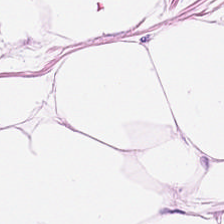Hematoxylin and eosin. The tissue type is fat tissue.
